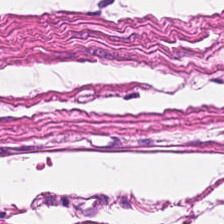FFPE tissue section. 20× equivalent magnification. Hematoxylin and eosin. Predominant tissue = muscularis.
